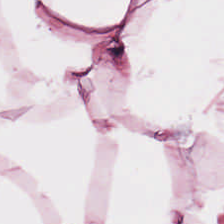H&E — Histology → fat tissue.
